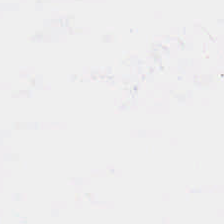Brightfield microscopy · 224×224 px patch · H&E stain — Field content = no tissue.
